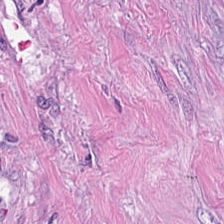0.5 µm/px; hematoxylin and eosin; brightfield microscopy — The tissue here is tumor stroma.
